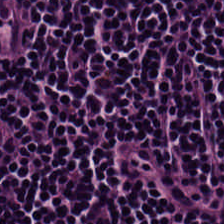H&E-stained tissue section · 0.5 µm/px.
Classification: lymphocytes.
